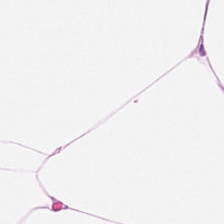Showing adipose tissue.
